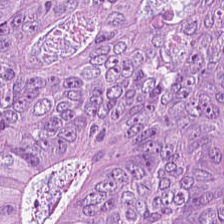0.5 µm/px · H&E stain.
The predominant tissue is malignant epithelium.
